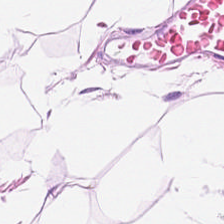This patch shows adipocytes.
